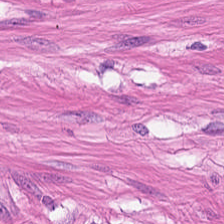H&E-stained tissue section; 224×224 pixel tile; brightfield.
Predominantly smooth-muscle tissue.
